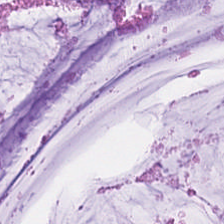H&E stain — This patch shows mucin.
